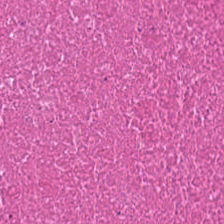H&E stain — Tissue = cellular debris.
